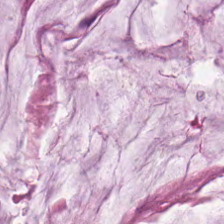FFPE tissue section. H&E-stained tissue section. 224×224 pixel tile — Q: What tissue type is shown here?
A: This is mucin.
